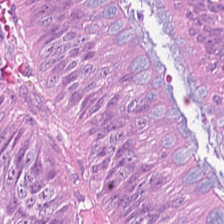H&E stain. Tissue — tumor epithelium.
